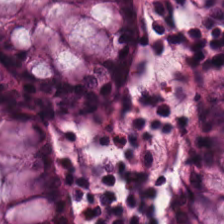Stain: hematoxylin-and-eosin stained section.
Tissue class: non-neoplastic colon mucosa.
